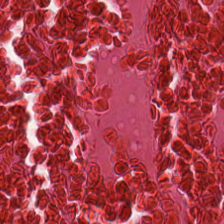Predominantly cellular debris.
